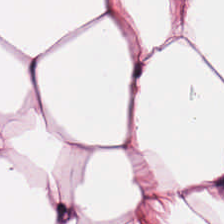H&E-stained tissue section.
This patch shows fat tissue.
